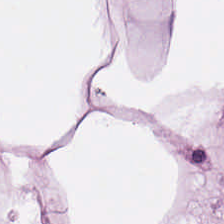Tissue type: fat tissue.
